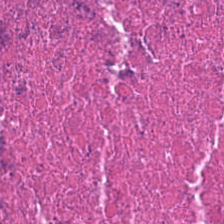H&E-stained tissue section.
Histology → cellular debris.
